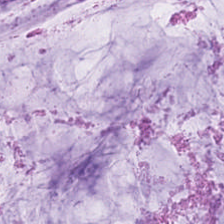Hematoxylin-and-eosin stained section.
Showing mucin.
